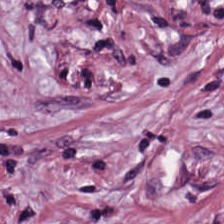20× equivalent magnification · hematoxylin and eosin. The tissue here is tumor-associated stroma.
